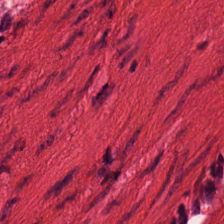Tissue class — smooth-muscle tissue.
